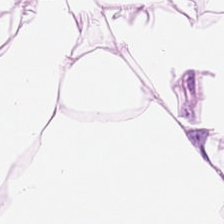H&E.
This field is adipose.
